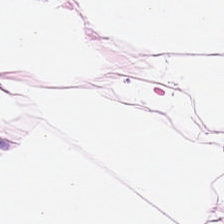Impression → adipocytes.
